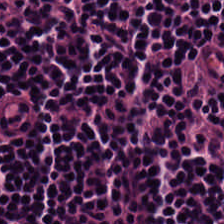H&E. {"tissue_type": "lymphocyte aggregate"}
